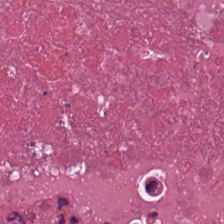Predominant tissue = necrotic debris.
